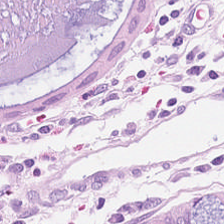{"tissue_type": "normal colon mucosa"}
